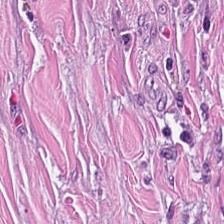H&E.
The tissue here is tumor stroma.
